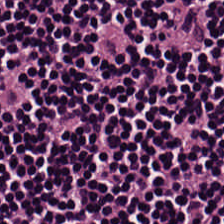H&E-stained tissue section · 0.5 microns per pixel. Tissue type = lymphocyte aggregate.
